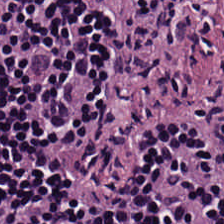Stain: H&E stain.
Predominant tissue: lymphocytic infiltrate.
